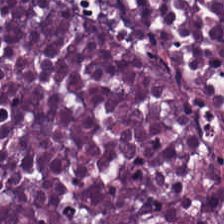H&E stain. The predominant tissue is necrotic debris.
